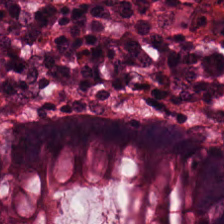H&E-stained tissue section. 0.5 µm/px — Tissue — normal colon mucosa.
